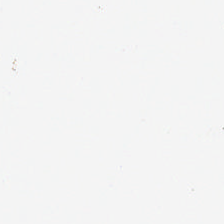0.5 microns per pixel · H&E · brightfield microscopy.
Q: What is shown in this field?
A: This is background.
